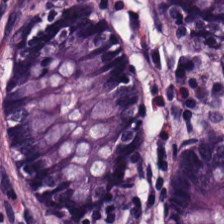H&E stain · FFPE. Tissue class = benign colonic mucosa.
